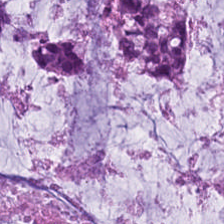Whole-slide-image patch; 0.5 microns per pixel; hematoxylin and eosin.
{"tissue_type": "mucus"}
